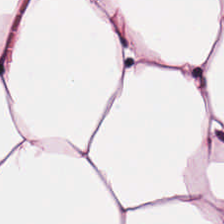Tissue — fat tissue.
